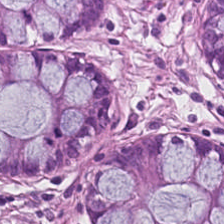Stain: H&E-stained tissue section.
Tissue type: benign colonic mucosa.
